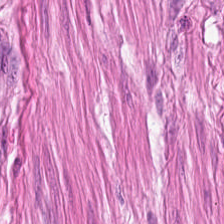Q: What type of tissue is this?
A: It is smooth-muscle tissue.
